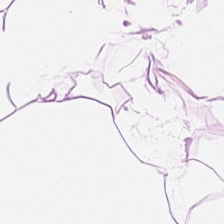Stain: hematoxylin and eosin.
Tissue: adipose.
